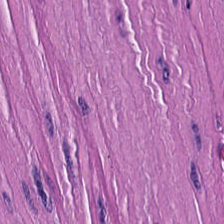Hematoxylin and eosin. Smooth-muscle tissue.
